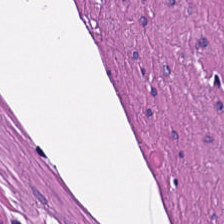Histology → smooth-muscle tissue.
